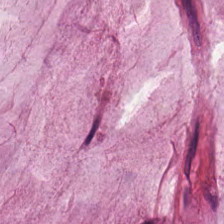Whole-slide-image patch. H&E stain — Classification — mucin.
